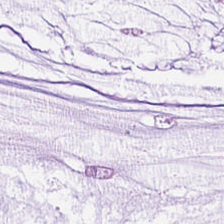Hematoxylin-and-eosin stained section. 224×224 px patch — The classification is mucus.
